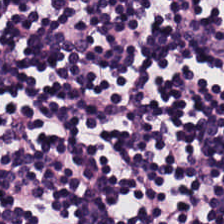H&E; brightfield.
This field is lymphocyte aggregate.
